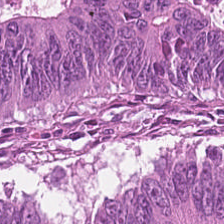Q: What is the predominant tissue type?
A: This is adenocarcinoma.
